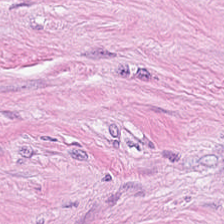Formalin-fixed paraffin-embedded section. H&E. 20× equivalent magnification — Classification = cancer-associated stroma.
